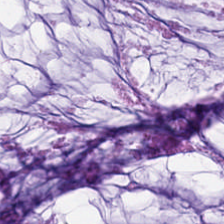Stain: hematoxylin-and-eosin stained section.
Classification: extracellular mucin.
